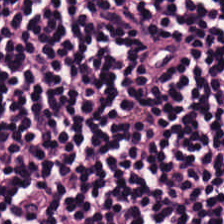Hematoxylin-and-eosin stained section. Tissue type — lymphocyte aggregate.
